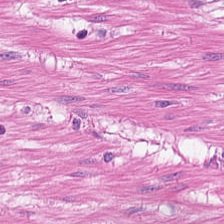224×224 px tile; hematoxylin-and-eosin stained section. Showing smooth muscle.
